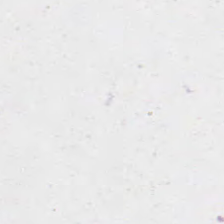0.5 µm/px; H&E-stained tissue section; WSI patch. No tissue.
